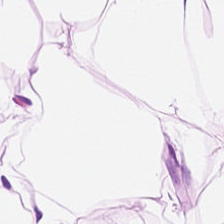Q: Classify this patch.
A: The field shows adipose.
